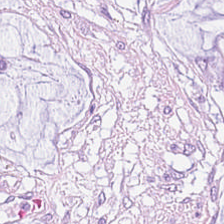Tissue class — extracellular mucin.
